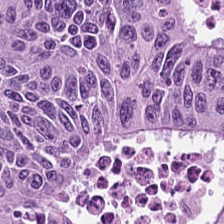Hematoxylin-and-eosin stained section. 20× equivalent magnification.
Tissue class: tumor epithelium.
